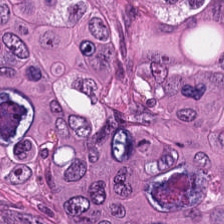Malignant epithelium.
